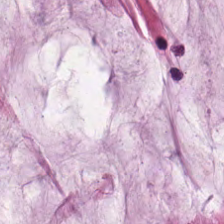0.5 µm per pixel. H&E stain.
The predominant tissue is mucus.
